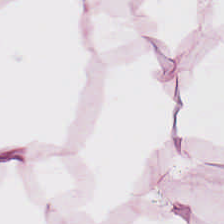Hematoxylin and eosin.
Predominant tissue — fat tissue.
